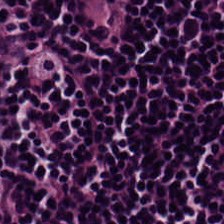Q: What tissue type is shown here?
A: This is lymphocytic infiltrate.
